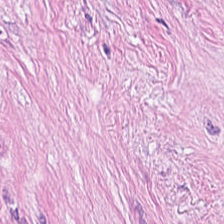Formalin-fixed paraffin-embedded section · hematoxylin and eosin — The tissue is desmoplastic stroma.
